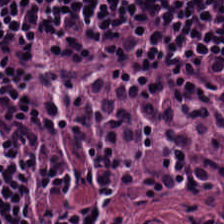Stain: H&E-stained tissue section.
Resolution: 20× equivalent magnification.
Tissue type: lymphocytic infiltrate.
